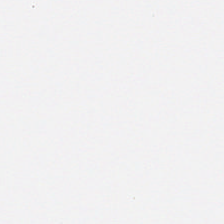224×224 px tile; hematoxylin-and-eosin stained section. This field is background (no tissue).
